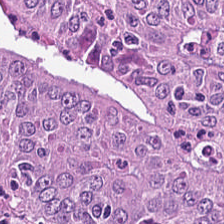Stain: H&E.
Tissue class: adenocarcinoma.
